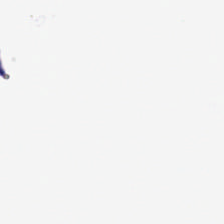H&E stain; brightfield; formalin-fixed paraffin-embedded section. This field is background (no tissue).
